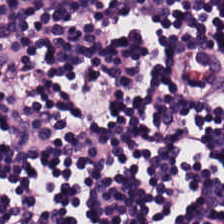Brightfield microscopy. H&E stain. FFPE. Histology → lymphocytes.
